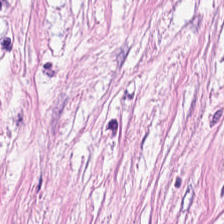H&E stain. 20× equivalent magnification — Finding — tumor stroma.
